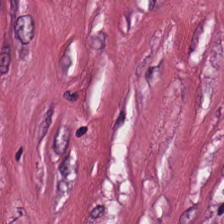H&E stain — The tissue here is tumor stroma.
